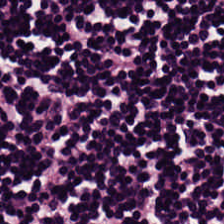H&E.
The predominant tissue is lymphocytes.
